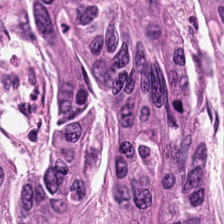Q: What type of tissue is this?
A: This is malignant epithelium.
